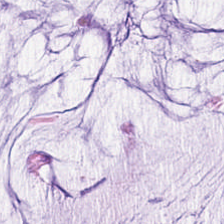Stain: H&E stain.
Acquisition: whole-slide-image patch.
Resolution: 20× equivalent magnification.
Tissue class: mucus.
